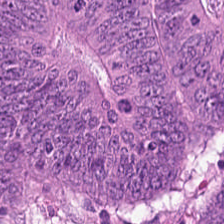Q: What is the predominant tissue type?
A: Malignant epithelium.
